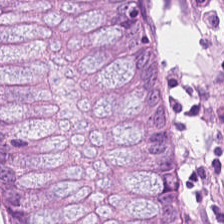0.5 µm/px. H&E stain.
The predominant tissue is benign colonic mucosa.
